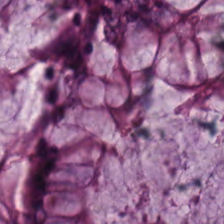224×224 pixel tile. H&E. 0.5 µm per pixel. The tissue type is normal colonic mucosa.
